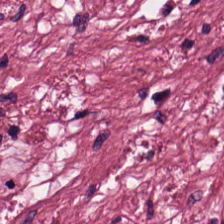Hematoxylin-and-eosin stained section — Q: What tissue is shown?
A: The field shows tumor-associated stroma.
